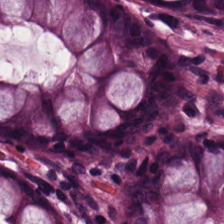Impression → benign colonic mucosa.
